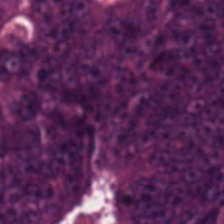This field is adenocarcinoma.
